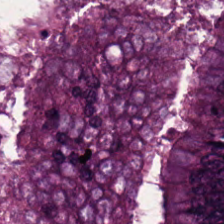H&E — colorectal adenocarcinoma epithelium.
